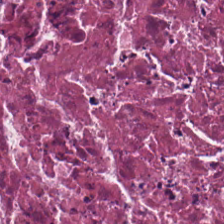H&E stain; 0.5 µm per pixel — Showing cellular debris.
